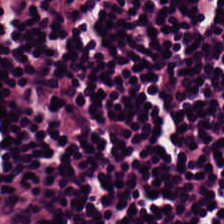Hematoxylin and eosin. 224×224 pixel tile. 0.5 µm per pixel — Q: Classify this patch.
A: This is lymphocyte aggregate.
